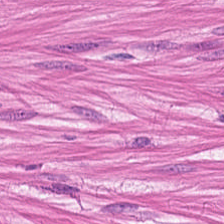Q: What is shown here?
A: It is smooth muscle.
